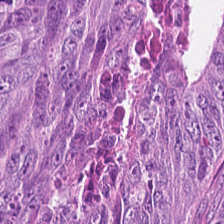H&E stain.
Tissue — malignant epithelium.
